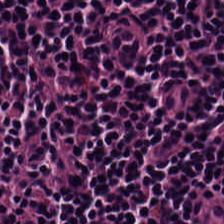Hematoxylin-and-eosin stained section. Finding — lymphocytic infiltrate.
